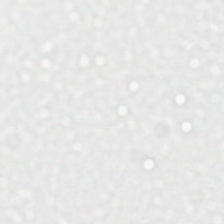Hematoxylin and eosin — Finding → background (no tissue).
